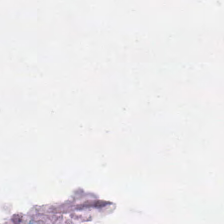Brightfield microscopy; hematoxylin and eosin.
Field content = background.
